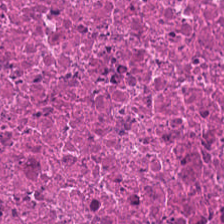Tissue type — cellular debris.
